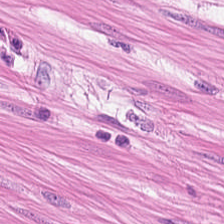H&E.
Q: What tissue is shown?
A: The field shows muscularis.
